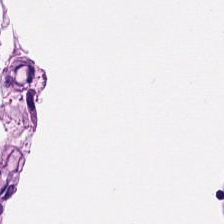Hematoxylin-and-eosin stained section — Classification = smooth muscle.
